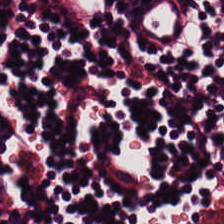Hematoxylin-and-eosin stained section.
Showing lymphocytic infiltrate.
